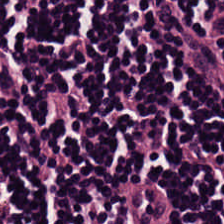Stain: hematoxylin and eosin.
Tissue class: lymphocytes.
